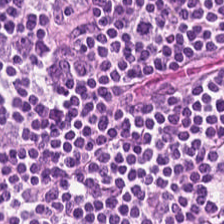Hematoxylin-and-eosin stained section — Q: What is shown here?
A: The field shows lymphocytes.
